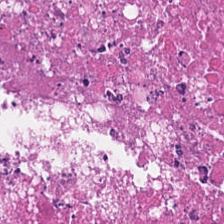Hematoxylin and eosin.
Finding — debris.
